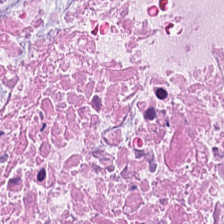The tissue here is necrotic debris.
